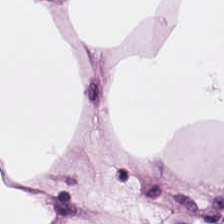Stain: hematoxylin and eosin.
Predominant tissue: adipose.
